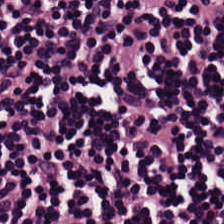Hematoxylin-and-eosin stained section · WSI patch — The predominant tissue is lymphocyte aggregate.
